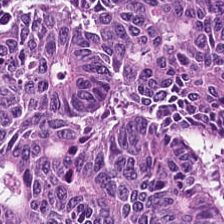{"tissue_type": "tumor epithelium"}
